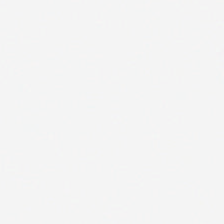H&E stain; 224×224 pixel tile. Background — no tissue in this field.
